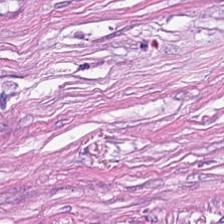Stain: H&E stain.
Tile size: 224×224 px tile.
Tissue: cancer-associated stroma.
